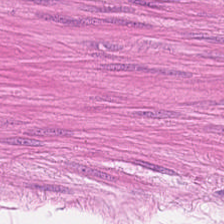Hematoxylin and eosin. 20× equivalent magnification. Impression → muscularis.
